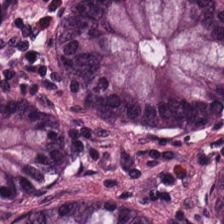Stain: H&E.
Preparation: formalin-fixed paraffin-embedded section.
Tile size: 224×224 pixel tile.
Tissue type: benign colonic mucosa.
